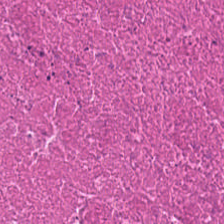H&E-stained tissue section · 0.5 µm per pixel. Q: What tissue is shown?
A: This is cellular debris.
